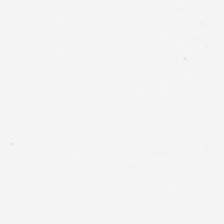FFPE · H&E stain.
The field content is background.
